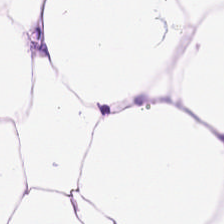FFPE tissue section. Hematoxylin-and-eosin stained section — Histology — adipose tissue.
